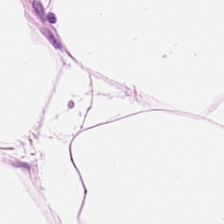Tissue type = adipocytes.
